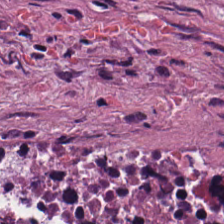Hematoxylin-and-eosin stained section. Q: Classify this patch.
A: This is tumor stroma.
